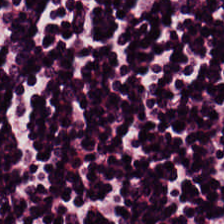H&E stain — Predominant tissue: lymphoid infiltrate.
